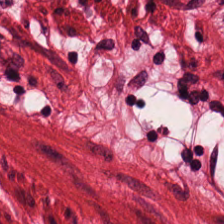Hematoxylin-and-eosin section: muscularis.
